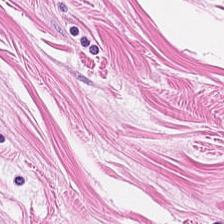Stain: H&E stain.
Resolution: 0.5 µm per pixel.
Tile size: 224×224 pixel tile.
Tissue: muscularis.
